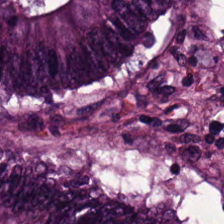Brightfield microscopy; formalin-fixed paraffin-embedded section; hematoxylin and eosin — Tissue class = colorectal adenocarcinoma.
